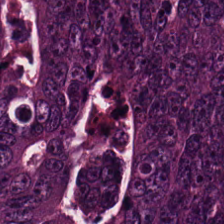H&E-stained tissue section showing colorectal adenocarcinoma.
